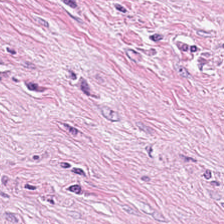H&E stain. 224×224 px patch. Brightfield — {"tissue_type": "cancer-associated stroma"}
